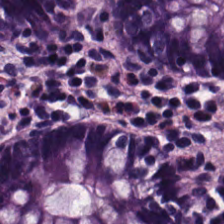H&E. 224×224 px patch — Tissue class: normal colon mucosa.
